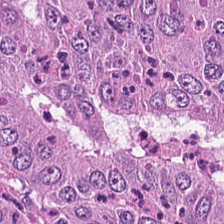Hematoxylin and eosin. Predominantly colorectal adenocarcinoma.
